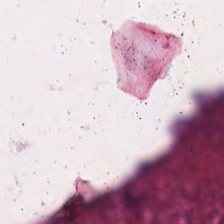224×224 px tile · 0.5 µm per pixel · H&E-stained tissue section.
The tissue here is cellular debris.
